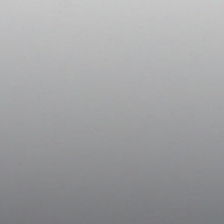H&E stain. Field content: background (no tissue).
